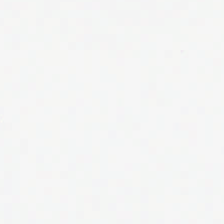Q: What does this patch show?
A: The field shows background.
